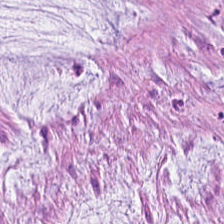H&E stain. Q: What does this patch show?
A: Extracellular mucin.
